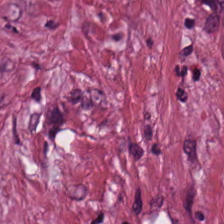0.5 microns per pixel; H&E stain. This field is cancer-associated stroma.
